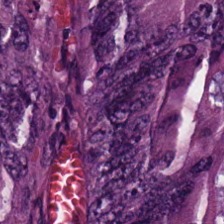{"tissue_type": "adenocarcinoma"}
